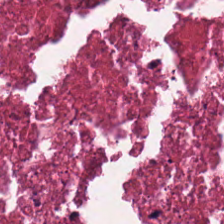This field is debris.
